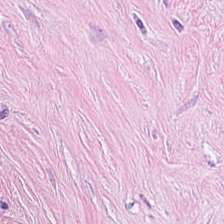Hematoxylin-and-eosin stained section.
This patch shows tumor stroma.
